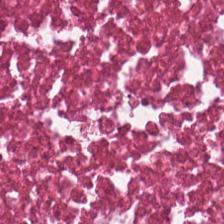Hematoxylin and eosin.
The predominant tissue is cellular debris.
